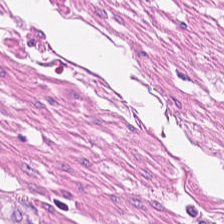Stain: H&E stain.
Preparation: FFPE tissue section.
Tissue: muscularis.
